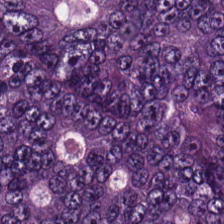H&E-stained tissue section. The predominant tissue is tumor epithelium.
